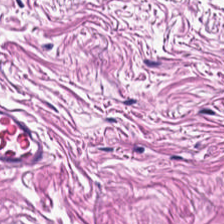Showing smooth-muscle tissue.
